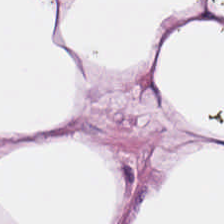Brightfield. 0.5 µm per pixel. H&E-stained tissue section — The predominant tissue is adipocytes.
